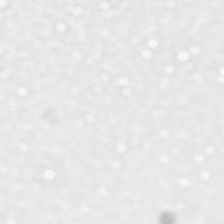No tissue present; background only.
